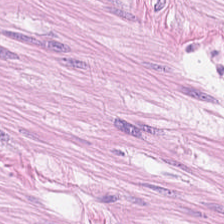FFPE tissue section. Hematoxylin and eosin.
Tissue type: smooth muscle.
